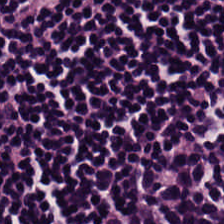Q: What is shown in this field?
A: This is lymphoid infiltrate.
